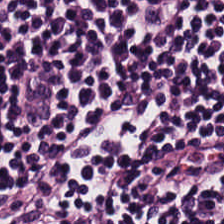Hematoxylin and eosin · WSI patch · 224×224 pixel tile.
The predominant tissue is lymphocyte aggregate.
